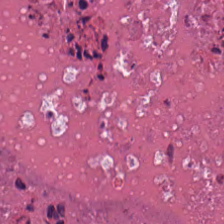20× equivalent magnification · WSI patch · H&E. Predominant tissue: debris.
